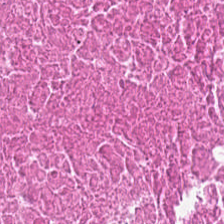H&E · 224×224 px tile · FFPE tissue section. Tissue type: cellular debris.
